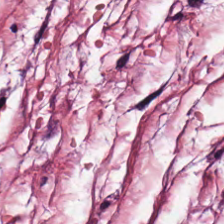H&E stain; whole-slide-image patch — Impression — tumor stroma.
